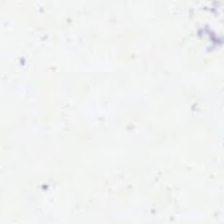20× equivalent magnification. Hematoxylin and eosin — No tissue present; background only.
